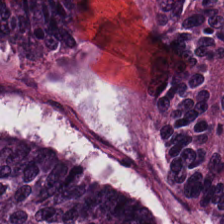224×224 pixel tile; H&E. Impression → tumor epithelium.
